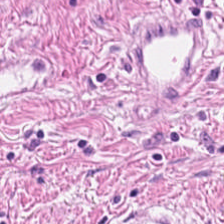20× equivalent magnification; 224×224 pixel tile; H&E. Predominant tissue = smooth-muscle tissue.
